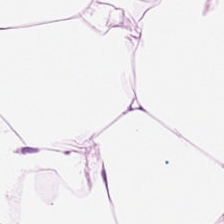Hematoxylin and eosin · 224×224 px patch. Q: What type of tissue is this?
A: The field shows adipocytes.
